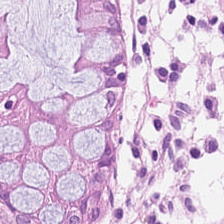Hematoxylin-and-eosin stained section. The predominant tissue is benign colonic mucosa.
